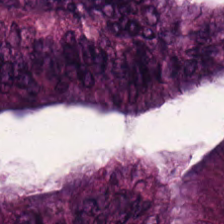Hematoxylin-and-eosin stained section. Histology — adenocarcinoma.
